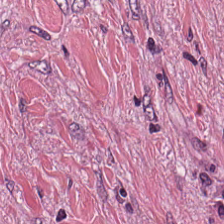Brightfield. H&E stain.
Impression → desmoplastic stroma.
